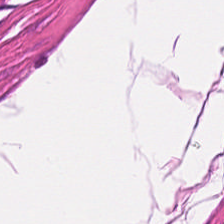Stain: H&E-stained tissue section.
Acquisition: brightfield.
Resolution: 20× equivalent magnification.
Classification: muscularis.
